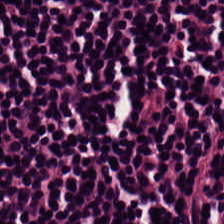H&E stain. Showing lymphocytic infiltrate.
